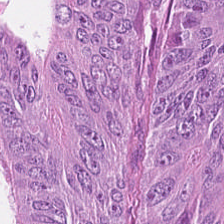H&E. Impression → colorectal adenocarcinoma.
